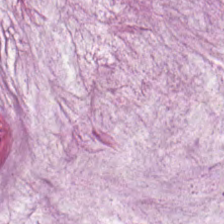Hematoxylin and eosin — Predominantly extracellular mucin.
